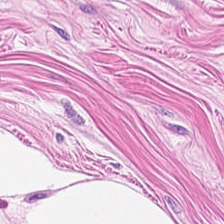H&E stain; FFPE; brightfield.
Predominantly smooth-muscle tissue.
